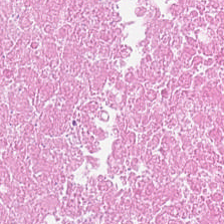Q: What is shown here?
A: This is debris.
